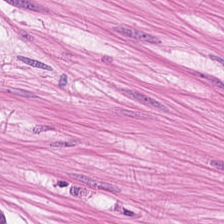H&E — Showing smooth muscle.
